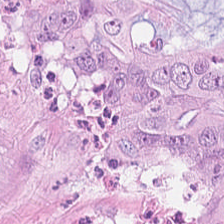Stain: hematoxylin and eosin.
Tissue class: colorectal adenocarcinoma epithelium.
